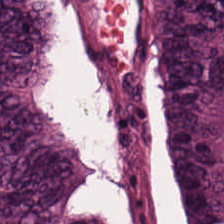Hematoxylin-and-eosin stained section — Predominantly malignant epithelium.
